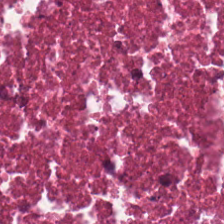H&E. Brightfield microscopy.
Predominantly necrotic debris.
